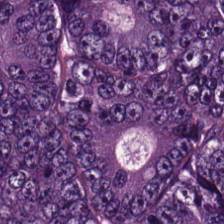Stain: hematoxylin and eosin.
Acquisition: whole-slide-image patch.
Tissue: colorectal adenocarcinoma epithelium.
